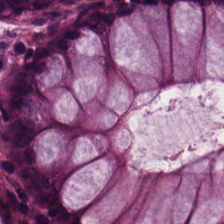Predominantly non-neoplastic colon mucosa.
